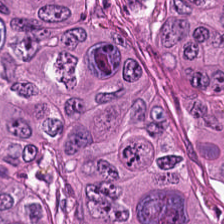Showing colorectal adenocarcinoma epithelium.
